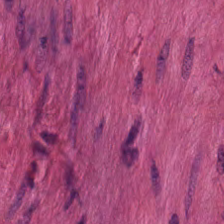Hematoxylin and eosin — Showing smooth-muscle tissue.
